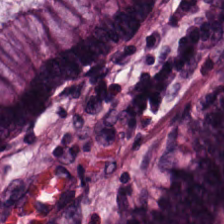Hematoxylin-and-eosin stained section. 224×224 pixel tile.
Tissue — normal colon mucosa.
